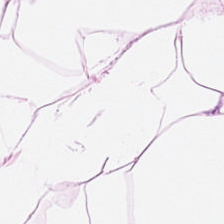H&E stain — Finding → fat tissue.
